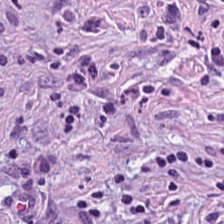Hematoxylin-and-eosin stained section · 0.5 microns per pixel. Q: What does this patch show?
A: This is cancer-associated stroma.
